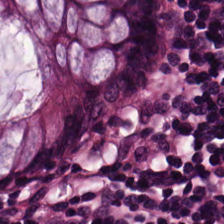Hematoxylin and eosin. Q: Identify the tissue.
A: This is benign colonic mucosa.
